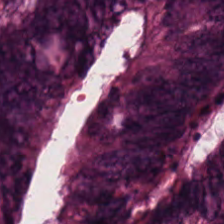H&E. 224×224 pixel tile — Tissue class = colorectal adenocarcinoma.
